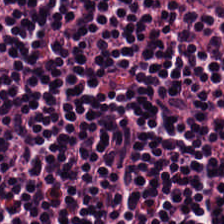Whole-slide-image patch · 224×224 px patch · hematoxylin and eosin.
The predominant tissue is lymphocytes.
